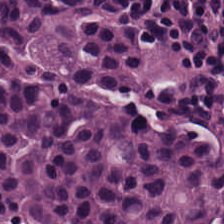Impression → lymphocytes.
